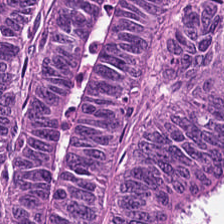Formalin-fixed paraffin-embedded section. H&E-stained tissue section. Finding — colorectal adenocarcinoma.
